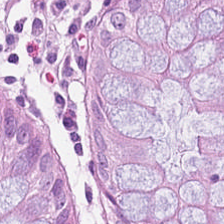H&E-stained tissue section — Q: What is shown in this field?
A: Non-neoplastic colon mucosa.
